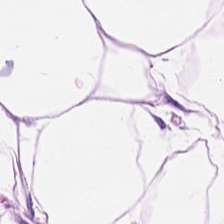Stain: H&E.
Predominant tissue: fat tissue.
